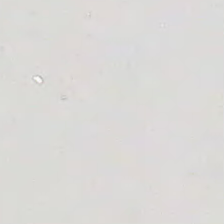Hematoxylin-and-eosin stained section — Classification = no tissue.
